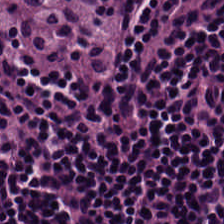20× equivalent magnification; H&E-stained tissue section.
Finding → lymphocyte aggregate.
